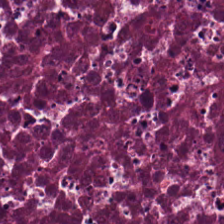H&E-stained tissue section.
The tissue is debris.
